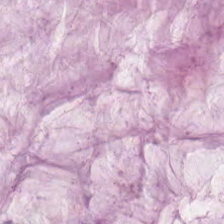H&E stain — Finding → mucus.
